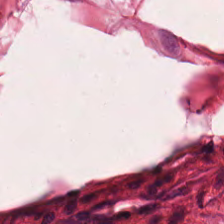H&E-stained tissue section — Predominant tissue: smooth muscle.
